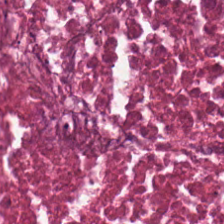H&E; 0.5 microns per pixel — Histology → cellular debris.
